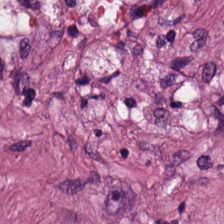H&E stain — This field is cancer-associated stroma.
